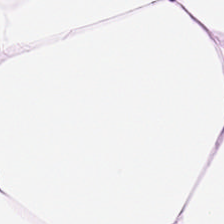Stain: H&E stain.
Preparation: formalin-fixed paraffin-embedded section.
Tissue: adipose.
